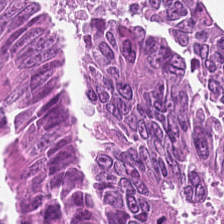Hematoxylin and eosin.
Showing adenocarcinoma.
